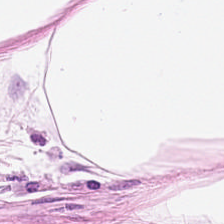Formalin-fixed paraffin-embedded section; brightfield; H&E stain — Tissue class = adipocytes.
